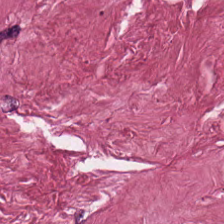H&E stain. Impression → tumor stroma.
